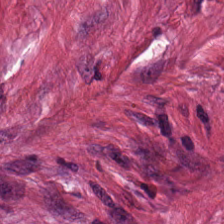H&E.
Finding → tumor-associated stroma.
